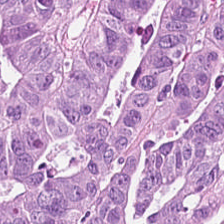H&E. 20× equivalent magnification. Formalin-fixed paraffin-embedded section.
Predominant tissue = colorectal adenocarcinoma epithelium.
